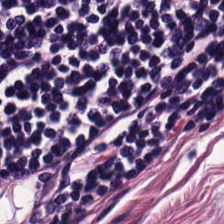Formalin-fixed paraffin-embedded section; H&E-stained tissue section.
Tissue — lymphocytes.
